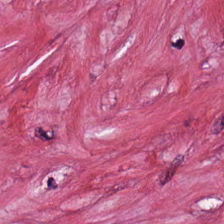H&E stain · brightfield microscopy — Predominant tissue — desmoplastic stroma.
